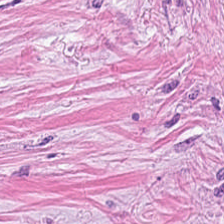224×224 px patch; brightfield; hematoxylin and eosin.
Q: What does this patch show?
A: The field shows tumor stroma.
